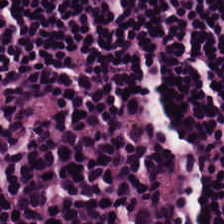H&E — lymphocyte aggregate.
